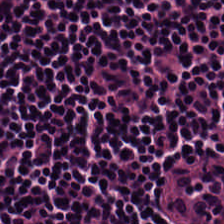Q: Classify this patch.
A: It is lymphocytes.
